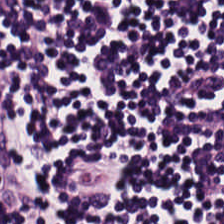H&E.
The tissue here is lymphocytic infiltrate.
